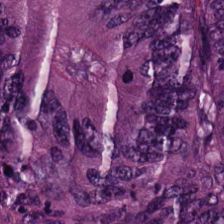H&E-stained tissue section. This patch shows tumor epithelium.
